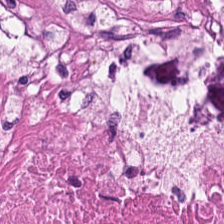224×224 px patch · 0.5 µm per pixel · H&E-stained tissue section — Cellular debris.
